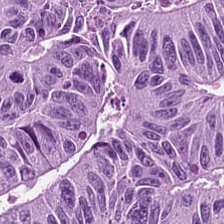WSI patch · H&E stain — Tissue = colorectal adenocarcinoma epithelium.
